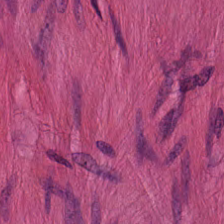Brightfield microscopy · hematoxylin-and-eosin stained section. Q: What type of tissue is this?
A: This is smooth muscle.
